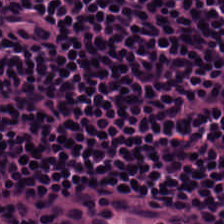Stain: H&E.
Resolution: 0.5 µm per pixel.
Tissue: lymphocytic infiltrate.
